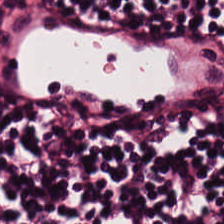Stain: H&E-stained tissue section.
Tissue: lymphoid infiltrate.
